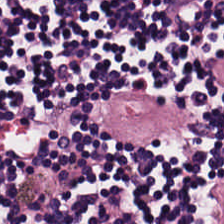224×224 px tile · H&E-stained tissue section — The predominant tissue is lymphocyte aggregate.
